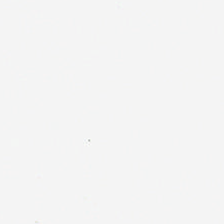Hematoxylin-and-eosin stained section.
This patch shows background.
